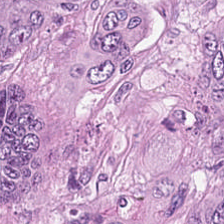H&E. FFPE.
Histology → colorectal adenocarcinoma.
